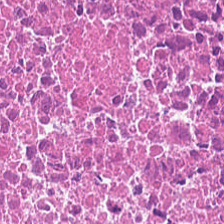FFPE · H&E stain. Showing debris.
